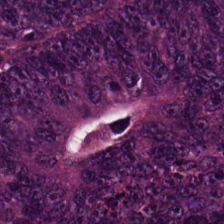Formalin-fixed paraffin-embedded section. Hematoxylin and eosin. WSI patch.
Tissue = colorectal adenocarcinoma.
